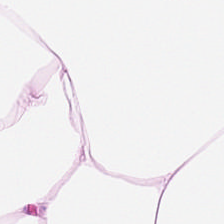Adipocytes.
